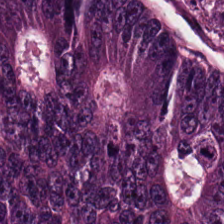Stain: hematoxylin and eosin.
Predominant tissue: malignant epithelium.
